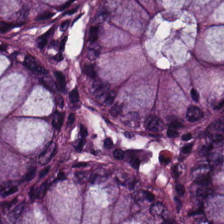Q: What is shown in this field?
A: The field shows benign colonic mucosa.
